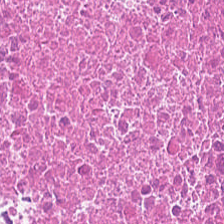H&E stain.
Q: Classify this patch.
A: This is necrotic debris.
